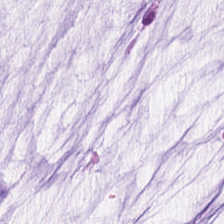Whole-slide-image patch. H&E stain. This patch shows extracellular mucin.
